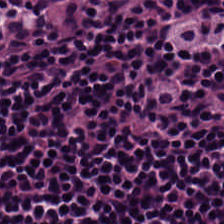Stain: H&E.
Tile size: 224×224 pixel tile.
Resolution: 20× equivalent magnification.
Tissue class: lymphocytes.
